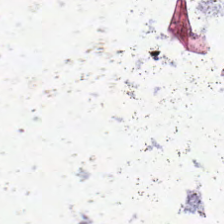Stain: H&E.
Classification: background.
